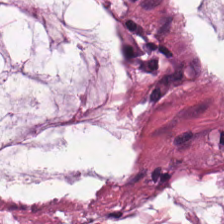Hematoxylin-and-eosin stained section. Predominantly extracellular mucin.
